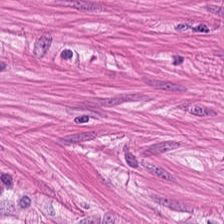Hematoxylin-and-eosin stained section; 20× equivalent magnification.
Tissue type: smooth-muscle tissue.
